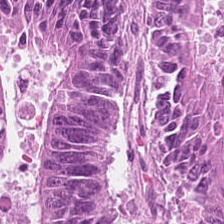Stain: hematoxylin and eosin.
Acquisition: brightfield microscopy.
Predominant tissue: tumor epithelium.
